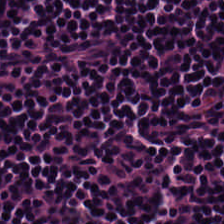Stain: hematoxylin-and-eosin stained section.
Tissue: lymphocyte aggregate.
